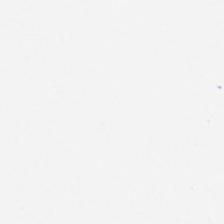0.5 µm per pixel · hematoxylin and eosin · WSI patch. Classification — adipocytes.
